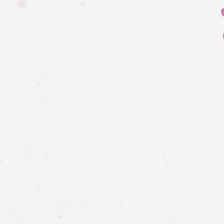H&E stain · 0.5 µm per pixel — {"content": "background (no tissue)"}
